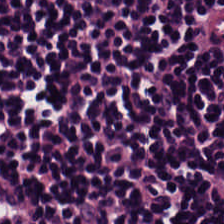H&E. Brightfield — Showing lymphocytic infiltrate.
